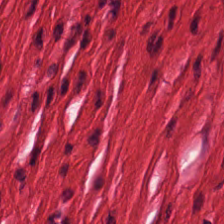Hematoxylin-and-eosin stained section — Showing smooth-muscle tissue.
